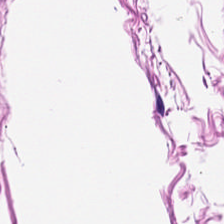Hematoxylin-and-eosin stained section. 224×224 pixel tile. Formalin-fixed paraffin-embedded section. Smooth muscle.
